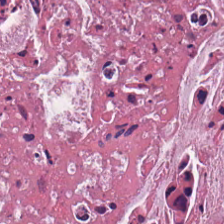Necrotic debris.
